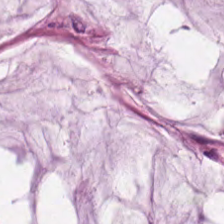H&E-stained tissue section. 0.5 µm/px. Q: What is shown in this field?
A: It is mucus.
